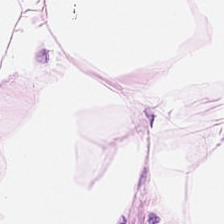Tissue class — adipose.
